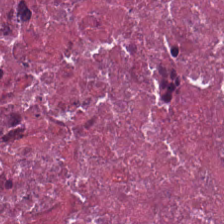FFPE; 224×224 px tile; H&E. Predominantly necrotic debris.
